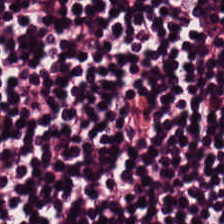Hematoxylin and eosin. Impression → lymphoid infiltrate.
